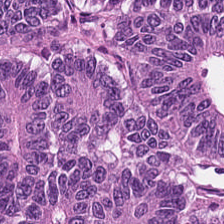The tissue here is tumor epithelium.
